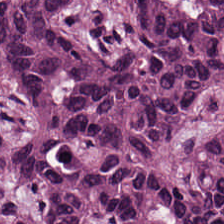Hematoxylin and eosin · FFPE — Predominantly tumor epithelium.
